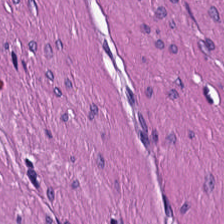H&E-stained tissue section — The tissue is smooth muscle.
